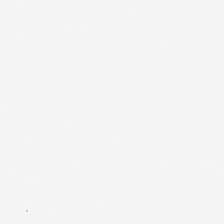H&E-stained tissue section. WSI patch.
Finding → empty background.
